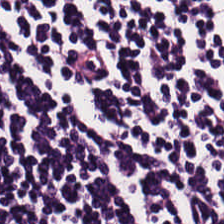Whole-slide-image patch · hematoxylin and eosin. Histology — lymphocytes.
